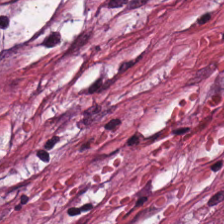FFPE tissue section. H&E — Histology → cancer-associated stroma.
